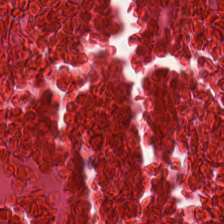H&E-stained tissue section.
Predominantly cellular debris.
